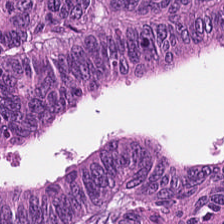Hematoxylin and eosin.
The tissue here is colorectal adenocarcinoma.
